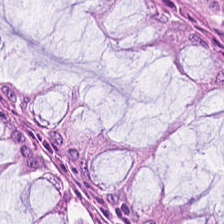Impression → benign colonic mucosa.
